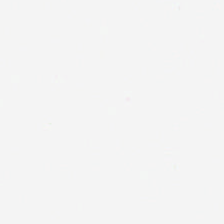Hematoxylin-and-eosin stained section. Histology — background (no tissue).
